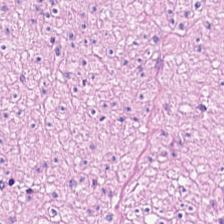Hematoxylin and eosin.
Tissue class: muscularis.
